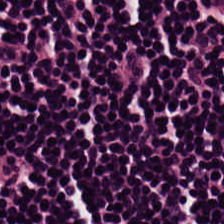H&E-stained tissue section.
Tissue type — lymphocyte aggregate.
